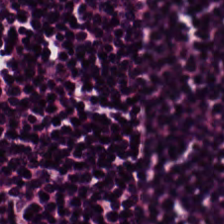H&E-stained tissue section showing lymphocyte aggregate.
